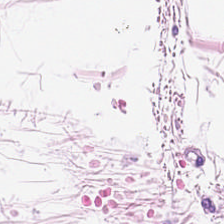Q: Classify this patch.
A: Adipose.
